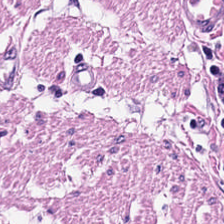Stain: H&E stain.
Predominant tissue: muscularis.
